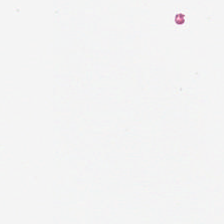Stain: hematoxylin-and-eosin stained section.
Preparation: FFPE tissue section.
Field content: empty background.
